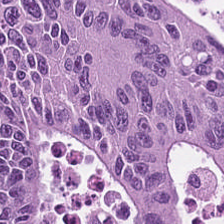Predominant tissue — tumor epithelium.
